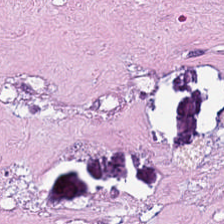Brightfield; hematoxylin and eosin.
Classification — debris.
